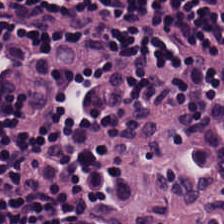H&E-stained tissue section — This field is lymphocytic infiltrate.
